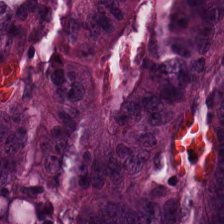H&E-stained tissue section · 224×224 pixel tile.
Adenocarcinoma.
